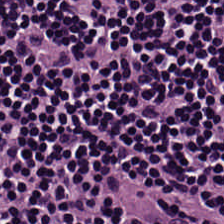Whole-slide-image patch; hematoxylin and eosin.
Predominant tissue — lymphocytic infiltrate.
